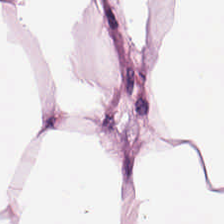Stain: hematoxylin and eosin.
Resolution: 0.5 µm/px.
Tissue: adipose.
